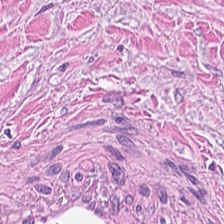FFPE; H&E-stained tissue section.
This field is cancer-associated stroma.
